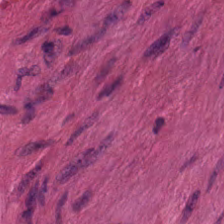H&E stain; FFPE.
Q: What does this patch show?
A: This is smooth muscle.
